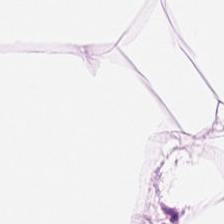Stain: hematoxylin and eosin.
Predominant tissue: fat tissue.
